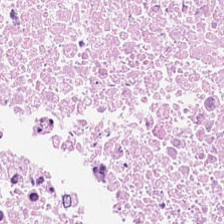FFPE tissue section; H&E stain. Predominantly necrotic debris.
